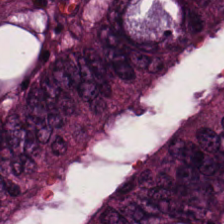224×224 px patch; hematoxylin-and-eosin stained section; FFPE tissue section. Adenocarcinoma.
